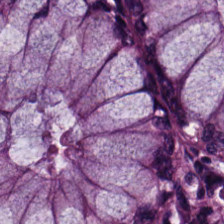Hematoxylin-and-eosin stained section.
This field is non-neoplastic colon mucosa.
